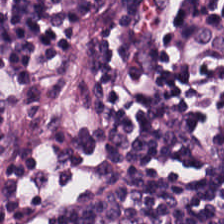20× equivalent magnification. Hematoxylin-and-eosin stained section — Tissue type — lymphocyte aggregate.
